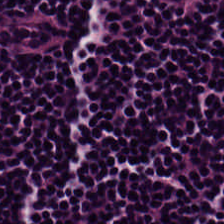0.5 µm/px · hematoxylin and eosin · formalin-fixed paraffin-embedded section.
Showing lymphocyte aggregate.
